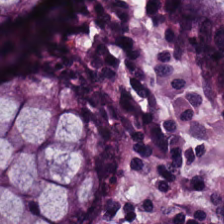Stain: hematoxylin and eosin.
Acquisition: WSI patch.
Tissue class: benign colonic mucosa.
